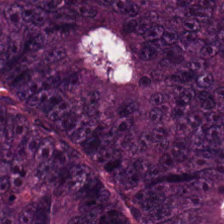The predominant tissue is colorectal adenocarcinoma epithelium.
